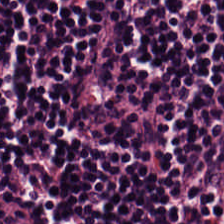Hematoxylin and eosin — Tissue = lymphocytes.
